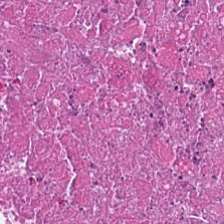Hematoxylin-and-eosin stained section — Tissue class = cellular debris.
